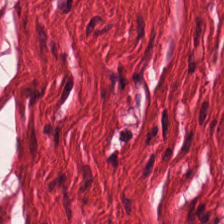Predominantly smooth-muscle tissue.
